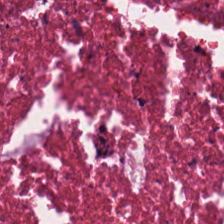Hematoxylin and eosin. Predominantly cellular debris.
